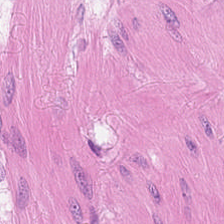Finding → smooth muscle.
